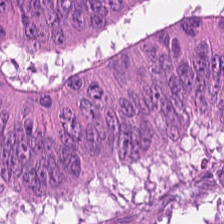Predominant tissue: malignant epithelium.
